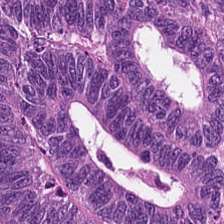H&E stain · FFPE. Adenocarcinoma.
